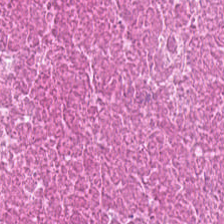H&E patch showing debris.
